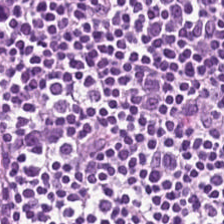Stain: H&E.
Acquisition: brightfield microscopy.
Tissue class: lymphocyte aggregate.
